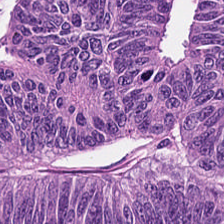Tissue class: colorectal adenocarcinoma epithelium.
